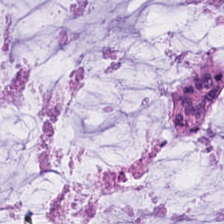H&E stain. This patch shows extracellular mucin.
